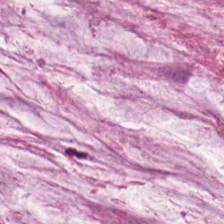Q: What type of tissue is this?
A: Mucin.
